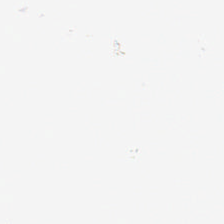Stain: hematoxylin-and-eosin stained section.
Content: empty background.
